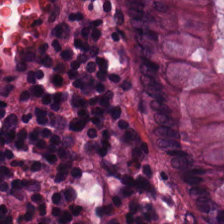Stain: H&E stain.
Predominant tissue: non-neoplastic colon mucosa.
